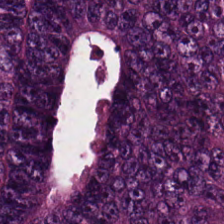Hematoxylin-and-eosin stained section — Tissue = tumor epithelium.
